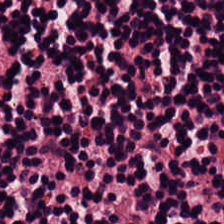H&E stain. Formalin-fixed paraffin-embedded section. 20× equivalent magnification — This field is lymphocytes.
